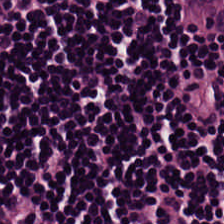Hematoxylin and eosin. 224×224 pixel tile.
Classification: lymphocytic infiltrate.
